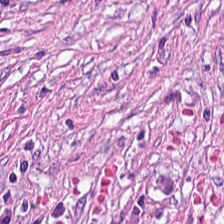Hematoxylin and eosin; formalin-fixed paraffin-embedded section; 0.5 µm/px — The predominant tissue is tumor stroma.
